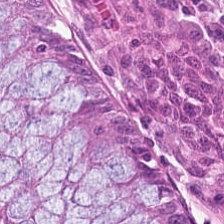Hematoxylin-and-eosin stained section — This patch shows benign colonic mucosa.
